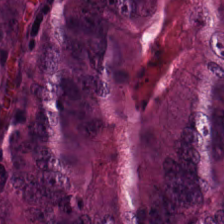Stain: H&E stain.
Predominant tissue: malignant epithelium.
